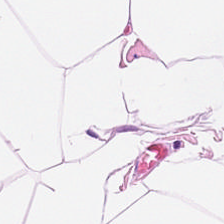Q: What is the predominant tissue type?
A: It is adipose.
